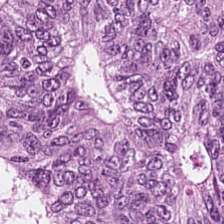WSI patch. Hematoxylin and eosin. This field is tumor epithelium.
